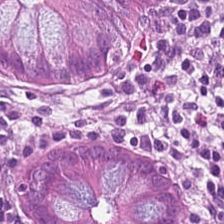Normal colon mucosa.
